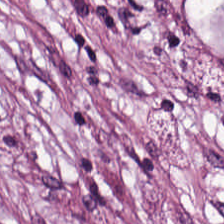Hematoxylin and eosin; 0.5 µm per pixel; 224×224 pixel tile. Q: What type of tissue is this?
A: It is cancer-associated stroma.
